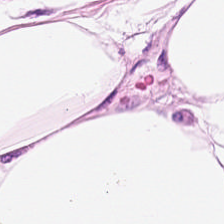H&E-stained tissue section.
Predominantly adipocytes.
